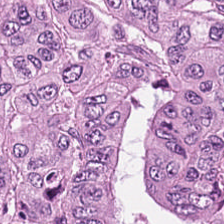H&E-stained tissue section — The tissue is colorectal adenocarcinoma.
